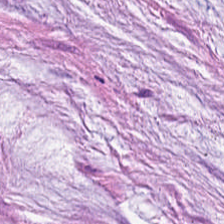Tissue class — mucin.
